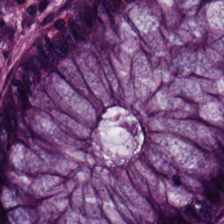Impression — normal colon mucosa.
